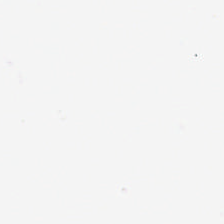Field content — background (no tissue).
